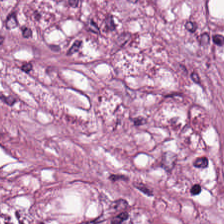224×224 px tile; brightfield microscopy; hematoxylin and eosin.
The predominant tissue is desmoplastic stroma.
